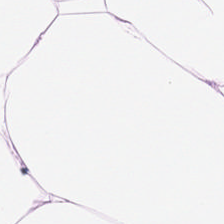Hematoxylin and eosin; 0.5 µm/px — Q: Identify the tissue.
A: The field shows adipose tissue.
